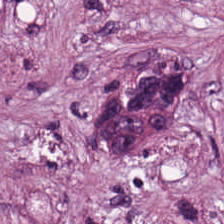H&E.
Classification = cancer-associated stroma.
